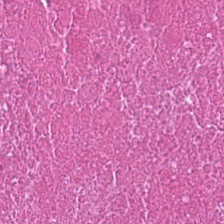H&E-stained tissue section · 0.5 µm/px — Showing necrotic debris.
